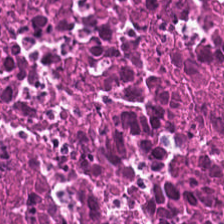Brightfield microscopy; H&E-stained tissue section.
The tissue here is debris.
